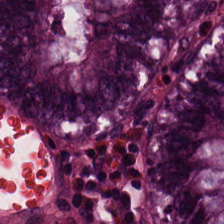H&E-stained tissue section — Finding — normal colonic mucosa.
